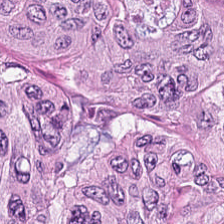Q: What is shown here?
A: This is malignant epithelium.
